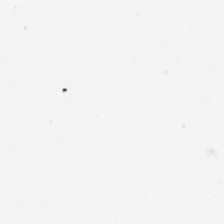No tissue present; background only.
